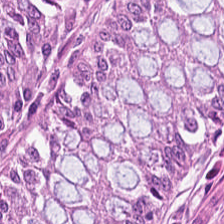The tissue here is non-neoplastic colon mucosa.
